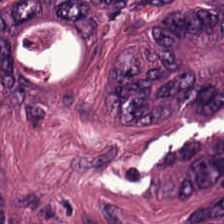Q: What tissue type is shown here?
A: Malignant epithelium.
